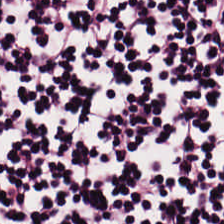The predominant tissue is lymphocytes.
